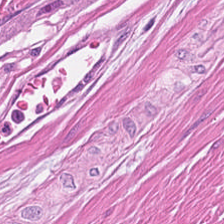H&E stain. Tissue: muscularis.
